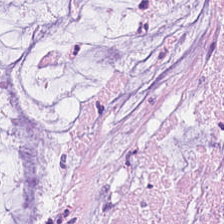H&E stain. The tissue class is mucin.
